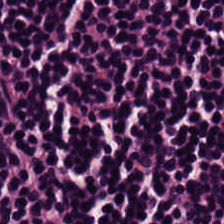Hematoxylin and eosin. 224×224 px tile — The predominant tissue is lymphocyte aggregate.
